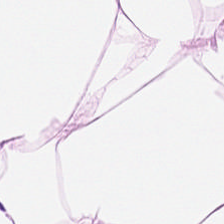Q: What tissue is shown?
A: It is adipocytes.
